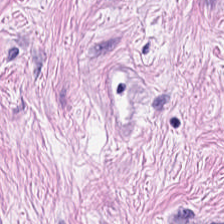Hematoxylin-and-eosin stained section.
Finding → tumor-associated stroma.
